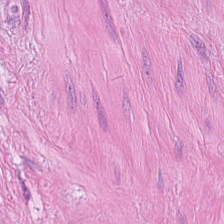The tissue class is muscularis.
